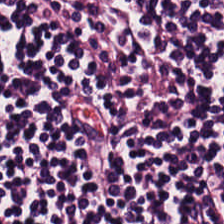H&E-stained tissue section.
Histology → lymphoid infiltrate.
